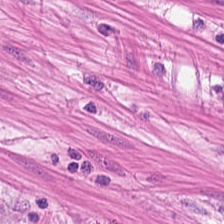H&E stain.
Q: What tissue type is shown here?
A: The field shows muscularis.
